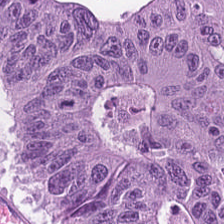224×224 pixel tile; hematoxylin-and-eosin stained section — {"tissue_type": "adenocarcinoma"}
